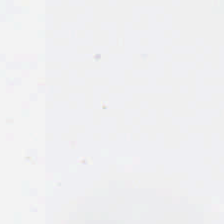Hematoxylin-and-eosin stained section. Field content = background (no tissue).
